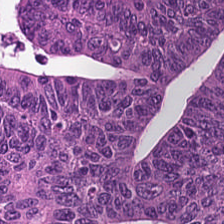FFPE. H&E-stained tissue section. Q: What does this patch show?
A: Tumor epithelium.
